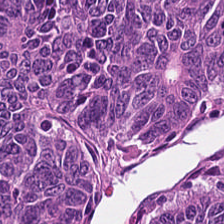H&E stain — The predominant tissue is malignant epithelium.
